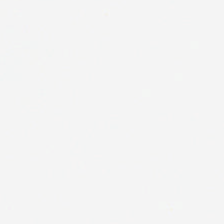H&E; FFPE — Empty background.
